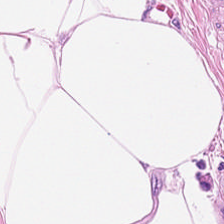20× equivalent magnification. 224×224 px tile. H&E. {"tissue_type": "adipocytes"}
